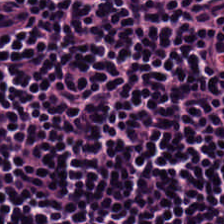H&E.
The predominant tissue is lymphocytic infiltrate.
